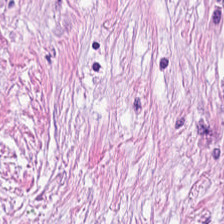Hematoxylin and eosin. Predominant tissue: cancer-associated stroma.
